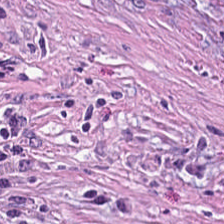Stain: H&E stain.
Tissue: desmoplastic stroma.
